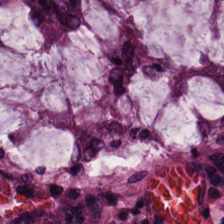H&E-stained tissue section. Tissue type: normal colonic mucosa.
